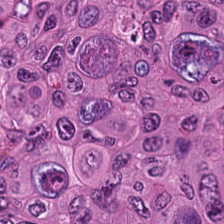20× equivalent magnification · H&E stain · FFPE tissue section. Predominantly tumor epithelium.
